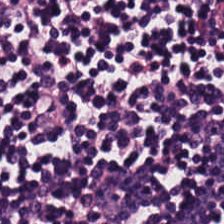Formalin-fixed paraffin-embedded section · hematoxylin and eosin · 0.5 microns per pixel — Predominant tissue = lymphocytic infiltrate.
